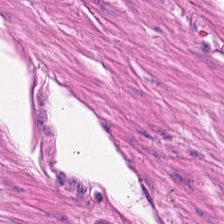H&E · WSI patch — {"tissue_type": "smooth muscle"}
